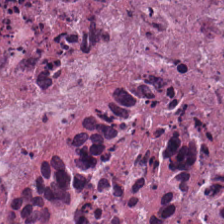Hematoxylin and eosin · 0.5 µm/px.
Predominant tissue: debris.
